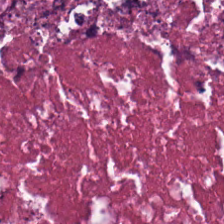The tissue class is necrotic debris.
